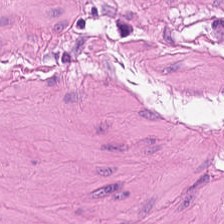Brightfield microscopy; 20× equivalent magnification; H&E-stained tissue section.
Tissue — smooth muscle.
